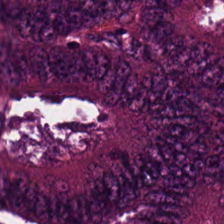Stain: H&E stain.
Classification: colorectal adenocarcinoma.
